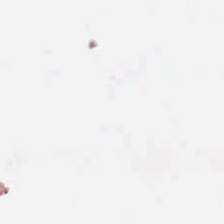0.5 µm/px · hematoxylin and eosin.
Empty field — background (no tissue).
